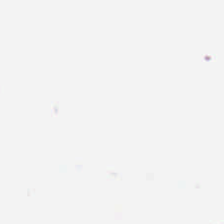Hematoxylin-and-eosin stained section — Q: What does this patch show?
A: The field shows background.
